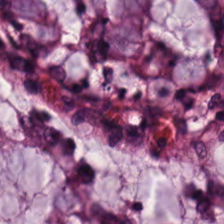Hematoxylin-and-eosin stained section; whole-slide-image patch; 20× equivalent magnification.
Tissue class: benign colonic mucosa.
